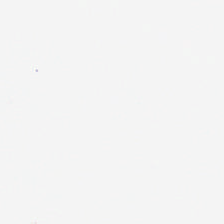FFPE; hematoxylin and eosin. Finding — background (no tissue).
